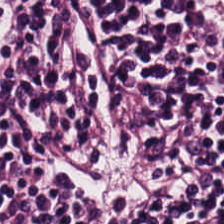H&E — Q: What type of tissue is this?
A: The field shows lymphocytic infiltrate.
